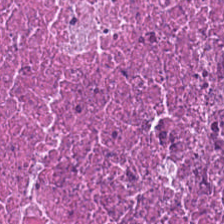H&E-stained tissue section — Necrotic debris.
